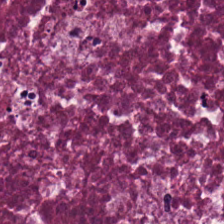Stain: hematoxylin-and-eosin stained section.
Acquisition: WSI patch.
Resolution: 20× equivalent magnification.
Tissue type: necrotic debris.
